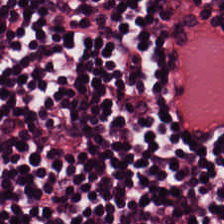Q: What tissue type is shown here?
A: Lymphocyte aggregate.
